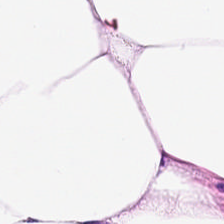Hematoxylin-and-eosin stained section.
The tissue type is adipose.
